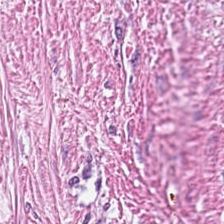Brightfield microscopy. 0.5 µm per pixel. H&E stain. Showing cancer-associated stroma.
